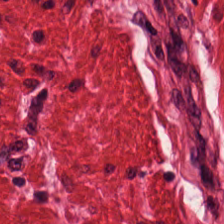FFPE; H&E stain; 0.5 microns per pixel. This field is muscularis.
